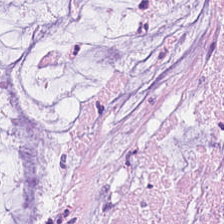Hematoxylin and eosin — Classification — extracellular mucin.
